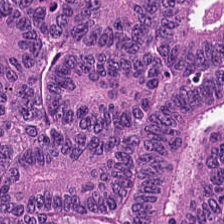H&E.
This field is malignant epithelium.
